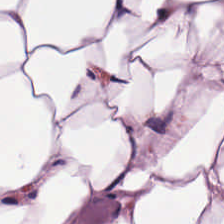Predominant tissue = adipose.
